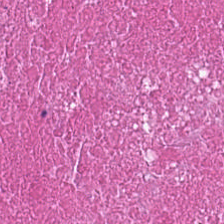H&E stain.
Showing necrotic debris.
